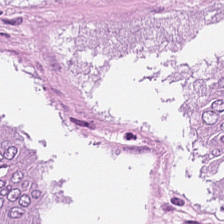224×224 px tile. H&E.
This field is adenocarcinoma.
